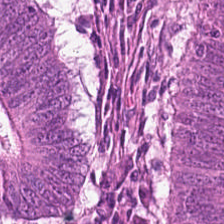Impression → malignant epithelium.
